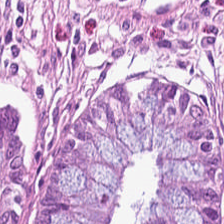H&E-stained tissue section. 224×224 px tile. FFPE tissue section. Q: What is shown here?
A: It is benign colonic mucosa.
